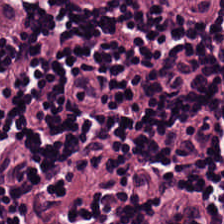Hematoxylin and eosin. This field is lymphocytic infiltrate.
